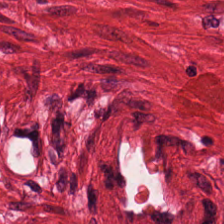FFPE. Hematoxylin-and-eosin stained section. 224×224 px patch.
Smooth-muscle tissue.
